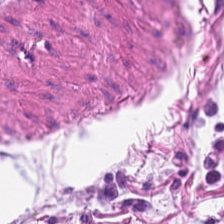H&E-stained tissue section — The tissue class is muscularis.
